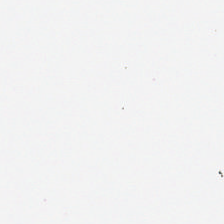Stain: H&E.
Classification: empty background.
